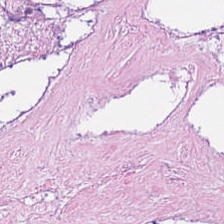224×224 px tile. WSI patch. Hematoxylin and eosin. Q: What tissue is shown?
A: The field shows necrotic debris.
